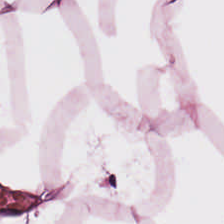FFPE tissue section. Hematoxylin-and-eosin stained section.
Predominant tissue — adipocytes.
